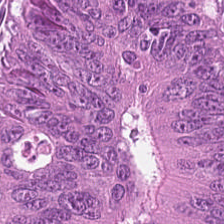H&E-stained tissue section showing malignant epithelium.
